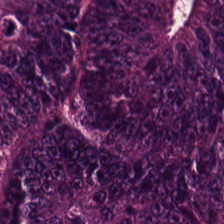H&E.
The tissue type is adenocarcinoma.
